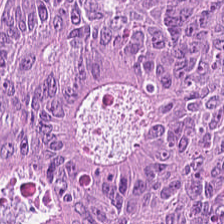H&E. 224×224 px patch — Classification — colorectal adenocarcinoma epithelium.
